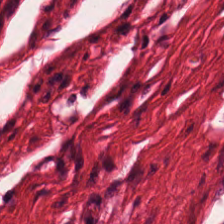H&E — smooth-muscle tissue.
